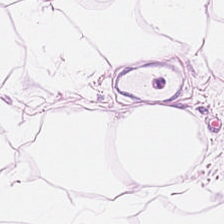Hematoxylin and eosin. Showing adipocytes.
